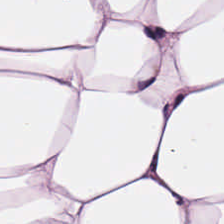H&E-stained tissue section.
Tissue class: adipose.
